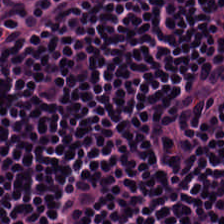0.5 µm/px. H&E stain. 224×224 px patch. Histology → lymphocyte aggregate.
